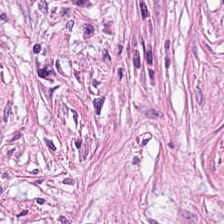H&E patch showing cancer-associated stroma.
